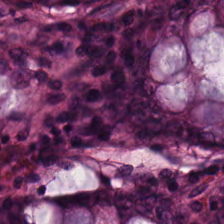WSI patch; hematoxylin-and-eosin stained section; formalin-fixed paraffin-embedded section — {"tissue_type": "benign colonic mucosa"}
